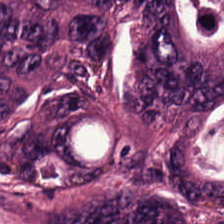Hematoxylin and eosin. FFPE.
Tumor epithelium.
